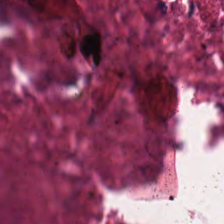FFPE; hematoxylin-and-eosin stained section; 0.5 microns per pixel — The classification is necrotic debris.
